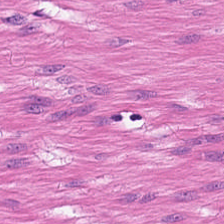Stain: hematoxylin-and-eosin stained section.
Tissue type: smooth muscle.
